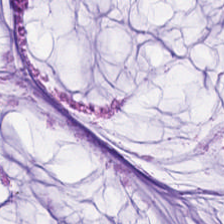FFPE; H&E; 224×224 px tile.
This patch shows mucin.
